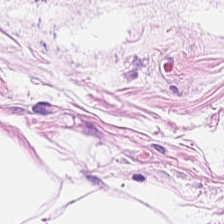Hematoxylin and eosin · FFPE.
Q: What is shown here?
A: This is adipose.
